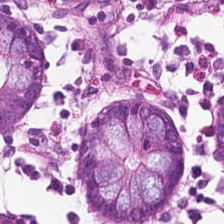Stain: H&E-stained tissue section.
Tile size: 224×224 px patch.
Tissue type: normal colon mucosa.
